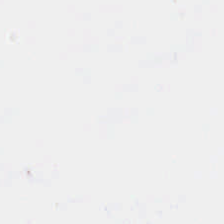Stain: H&E-stained tissue section.
Classification: background.
